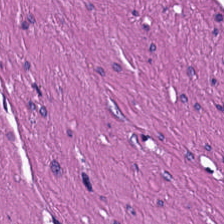Hematoxylin-and-eosin stained section — {"tissue_type": "smooth-muscle tissue"}
